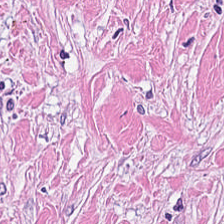H&E-stained tissue section. Finding → desmoplastic stroma.
